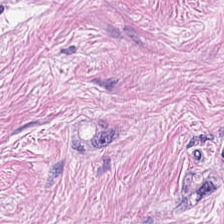Q: What is shown here?
A: The field shows cancer-associated stroma.
